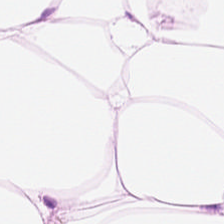The tissue type is adipose.
